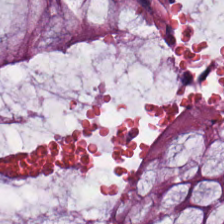H&E-stained tissue section. Classification — non-neoplastic colon mucosa.
